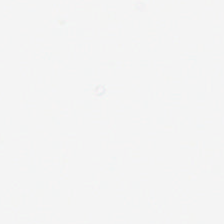Histology → background.
